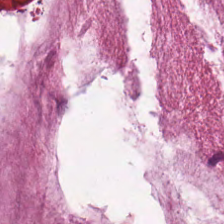Hematoxylin and eosin.
Predominant tissue — extracellular mucin.
